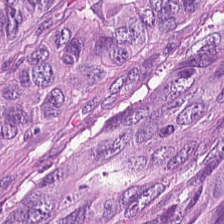Hematoxylin-and-eosin section: tumor epithelium.
